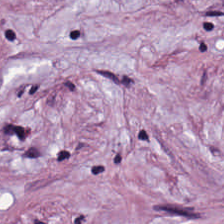Stain: H&E stain.
Predominant tissue: tumor-associated stroma.
